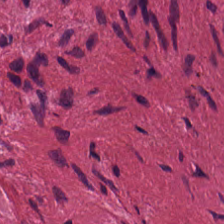Hematoxylin and eosin.
Q: Identify the tissue.
A: Tumor stroma.
